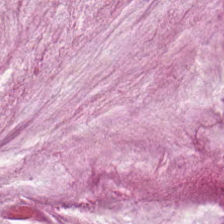Stain: H&E.
Classification: mucin.
